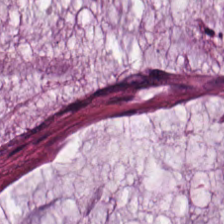Whole-slide-image patch; H&E-stained tissue section.
Finding → mucus.
